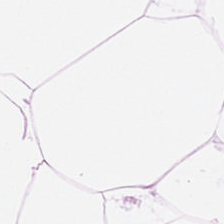H&E. The classification is adipose.
